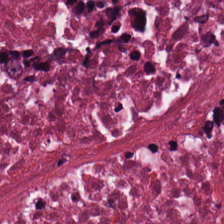Hematoxylin-and-eosin stained section. Predominant tissue = debris.
